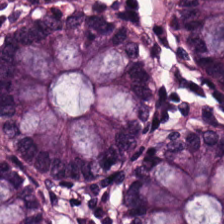H&E-stained tissue section · 0.5 µm per pixel — Impression — normal colon mucosa.
